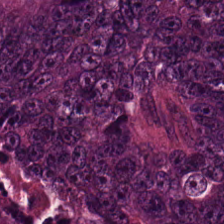Predominantly tumor epithelium.
